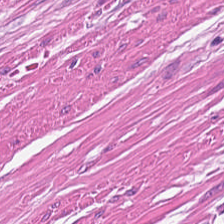H&E. 224×224 px patch — Muscularis.
